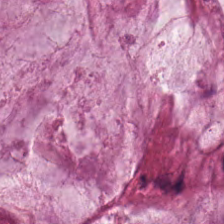H&E patch showing extracellular mucin.
